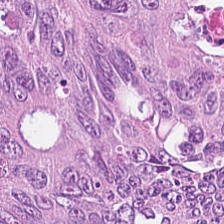Finding — colorectal adenocarcinoma.
